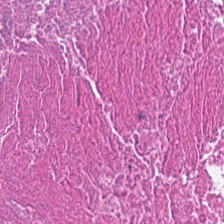0.5 µm/px · H&E.
Necrotic debris.
